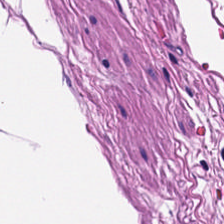0.5 µm/px; H&E.
Classification = muscularis.
